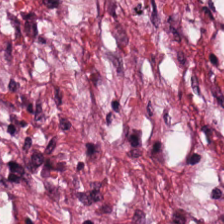Q: What does this patch show?
A: The field shows tumor stroma.
